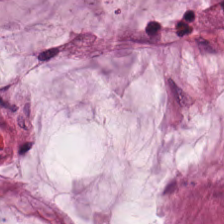Hematoxylin-and-eosin stained section. FFPE tissue section. 224×224 pixel tile — {"tissue_type": "mucus"}
